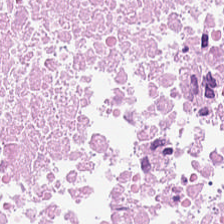H&E-stained tissue section. FFPE tissue section.
{"tissue_type": "debris"}
